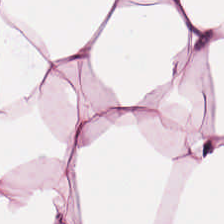Predominant tissue — fat tissue.
